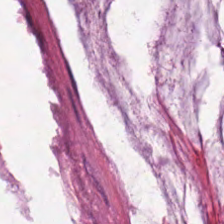Hematoxylin and eosin — This field is mucus.
